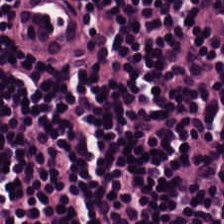224×224 px tile · hematoxylin-and-eosin stained section. Predominantly lymphoid infiltrate.
